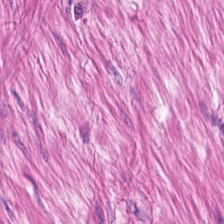Showing smooth muscle.
